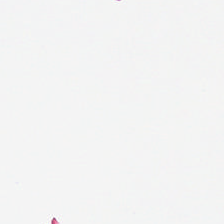H&E stain. {"content": "background"}
